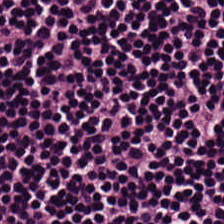FFPE. 20× equivalent magnification. H&E-stained tissue section.
Impression → lymphocytic infiltrate.
